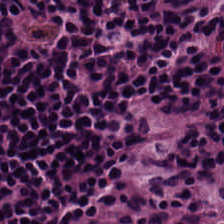Tissue type: lymphoid infiltrate.
